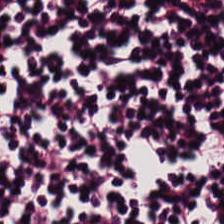Hematoxylin and eosin · brightfield — Q: What is the predominant tissue type?
A: This is lymphoid infiltrate.
